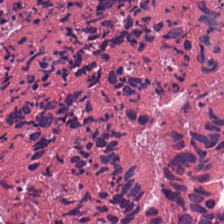Q: What tissue type is shown here?
A: Cellular debris.
